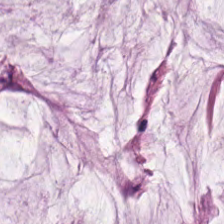Hematoxylin and eosin · whole-slide-image patch · 224×224 px patch.
This field is extracellular mucin.
